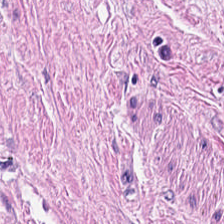Stain: H&E stain.
Tile size: 224×224 px patch.
Classification: smooth-muscle tissue.
